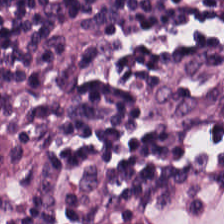224×224 px patch · H&E-stained tissue section — Lymphoid infiltrate.
